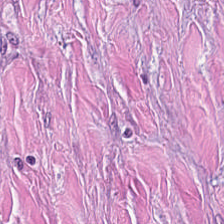Hematoxylin and eosin. 0.5 µm/px. Tissue type: desmoplastic stroma.
